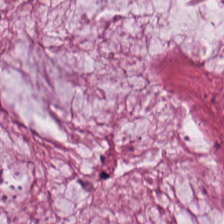H&E-stained tissue section; 224×224 px patch; FFPE tissue section — Tissue: extracellular mucin.
